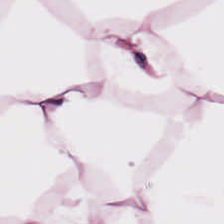H&E patch showing adipose.
